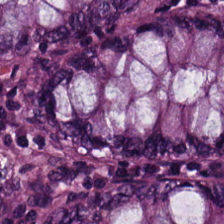Hematoxylin and eosin.
The predominant tissue is normal colon mucosa.
